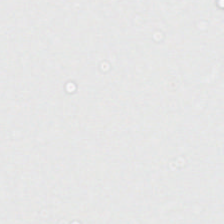Hematoxylin-and-eosin stained section. Empty background.
